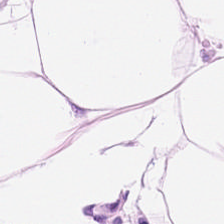Tissue class = fat tissue.
